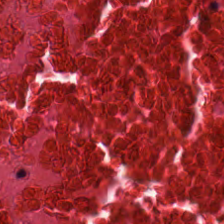Hematoxylin-and-eosin stained section. 224×224 px tile. Whole-slide-image patch — Predominantly cellular debris.
